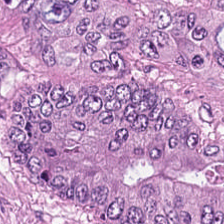Showing colorectal adenocarcinoma.
